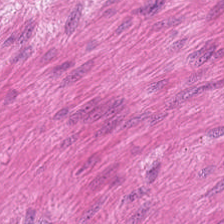Q: What tissue type is shown here?
A: Smooth-muscle tissue.
